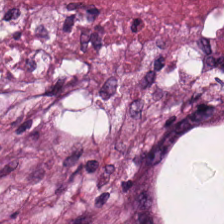Hematoxylin and eosin · WSI patch — Classification = necrotic debris.
